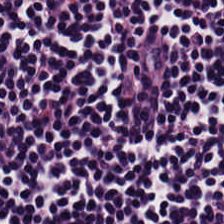H&E-stained tissue section showing lymphocytes.
